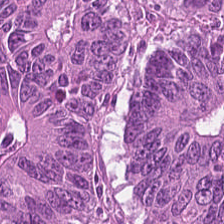H&E stain; formalin-fixed paraffin-embedded section; brightfield. Impression — colorectal adenocarcinoma epithelium.
